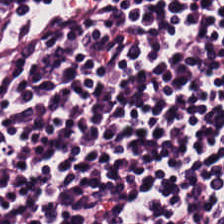Hematoxylin-and-eosin stained section.
Tissue — lymphocytic infiltrate.
